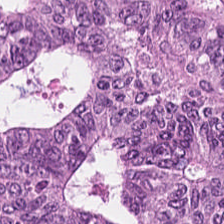Stain: hematoxylin and eosin.
Predominant tissue: colorectal adenocarcinoma.
